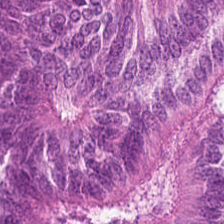FFPE tissue section. H&E stain. 224×224 px patch. Tissue class = adenocarcinoma.
